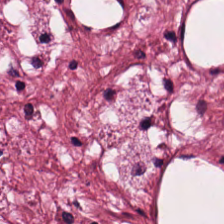224×224 px tile; H&E — Predominant tissue: cancer-associated stroma.
